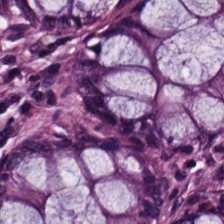0.5 µm/px; WSI patch; hematoxylin and eosin.
Benign colonic mucosa.
